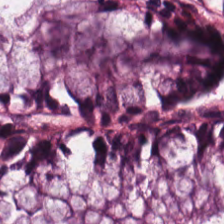Stain: H&E stain.
Tissue: normal colon mucosa.
